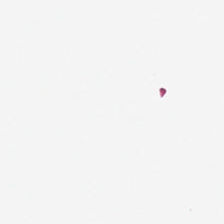H&E-stained tissue section; brightfield — Q: What is shown in this field?
A: The field shows empty background.
